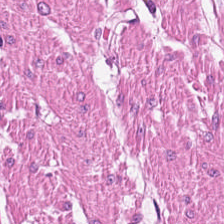Hematoxylin-and-eosin stained section. The classification is muscularis.
